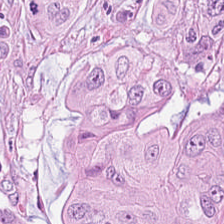Hematoxylin and eosin — {"tissue_type": "adenocarcinoma"}
